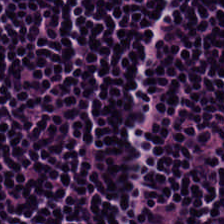Tissue type = lymphoid infiltrate.
